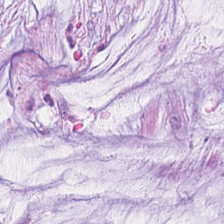0.5 µm/px · H&E.
The tissue is mucus.
